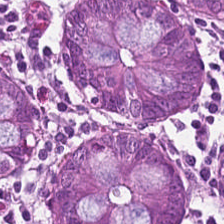Hematoxylin-and-eosin stained section. 0.5 microns per pixel. WSI patch. Q: What does this patch show?
A: It is normal colon mucosa.
